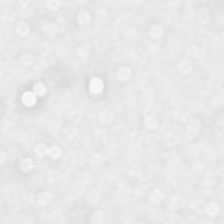Formalin-fixed paraffin-embedded section · H&E · whole-slide-image patch. Empty field — background (no tissue).
